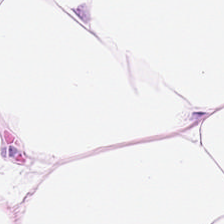Hematoxylin-and-eosin stained section — Q: What is shown here?
A: It is adipocytes.
